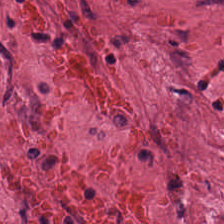H&E.
Classification: tumor stroma.
